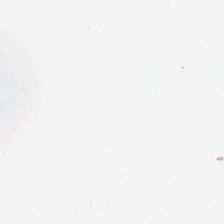224×224 px tile. H&E stain. Impression → background (no tissue).
